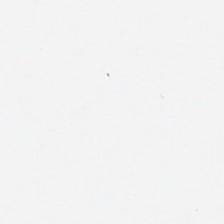Content: empty background.
